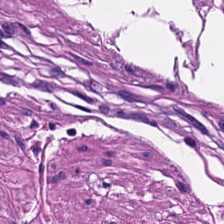H&E. 0.5 µm per pixel. Brightfield.
Finding → smooth-muscle tissue.
